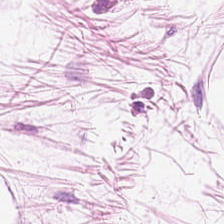20× equivalent magnification; H&E. Fat tissue.
